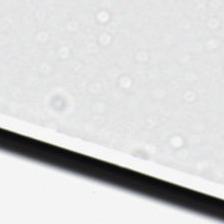Hematoxylin-and-eosin stained section. Background.
